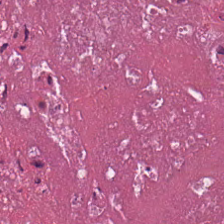Hematoxylin-and-eosin stained section. WSI patch — Q: What does this patch show?
A: This is cellular debris.
